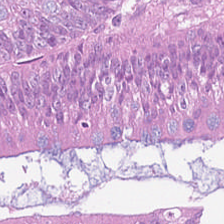Showing adenocarcinoma.
